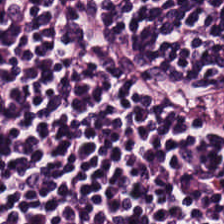Stain: hematoxylin and eosin.
Tissue: lymphocytic infiltrate.
